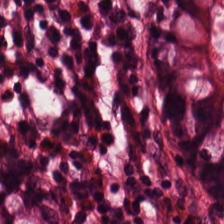Stain: H&E-stained tissue section.
Acquisition: WSI patch.
Tissue type: normal colon mucosa.
